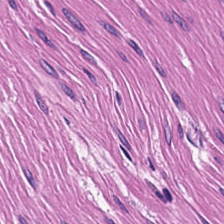H&E patch showing smooth-muscle tissue.
